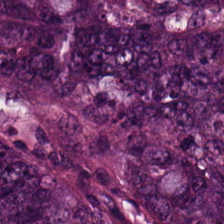Tissue type = colorectal adenocarcinoma epithelium.
